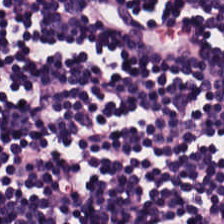Q: What is the predominant tissue type?
A: This is lymphoid infiltrate.
